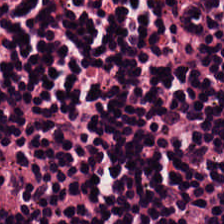H&E-stained tissue section · 0.5 microns per pixel — Classification — lymphocytes.
